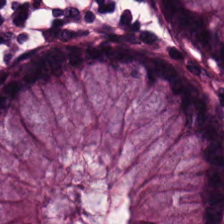H&E patch showing normal colonic mucosa.
